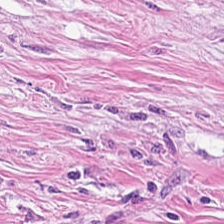Hematoxylin and eosin.
Tissue class — desmoplastic stroma.
